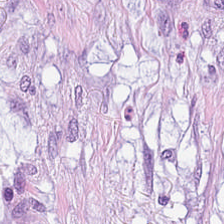Q: What does this patch show?
A: It is mucus.
